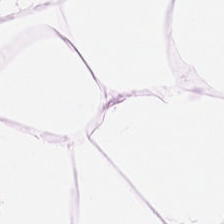224×224 px patch · 20× equivalent magnification · hematoxylin-and-eosin stained section — Fat tissue.
